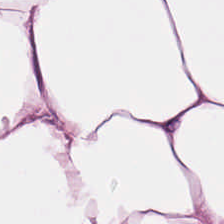H&E-stained section; the field shows fat tissue.
